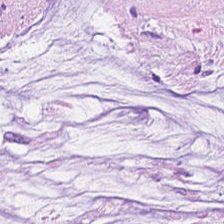H&E-stained tissue section — The tissue class is mucus.
